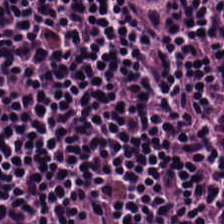Stain: H&E stain.
Acquisition: brightfield.
Tile size: 224×224 px tile.
Classification: lymphocytes.
